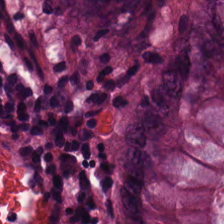H&E. 224×224 px patch. Formalin-fixed paraffin-embedded section. {"tissue_type": "non-neoplastic colon mucosa"}
